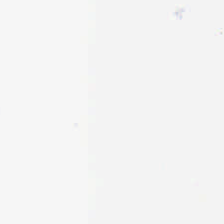Classification — empty background.
